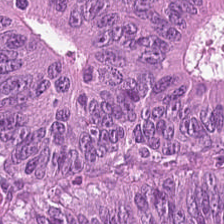Stain: hematoxylin-and-eosin stained section.
Tissue class: colorectal adenocarcinoma epithelium.
